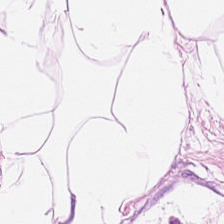Stain: hematoxylin-and-eosin stained section.
Tissue type: adipocytes.
